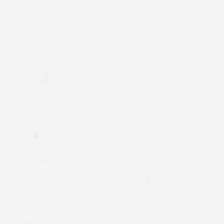Brightfield microscopy. H&E. This field is background (no tissue).
